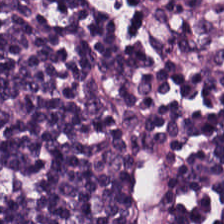Stain: hematoxylin-and-eosin stained section.
Tile size: 224×224 px patch.
Preparation: formalin-fixed paraffin-embedded section.
Predominant tissue: lymphocytes.
